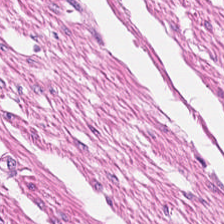0.5 microns per pixel. Hematoxylin-and-eosin stained section.
Tissue class — smooth-muscle tissue.
